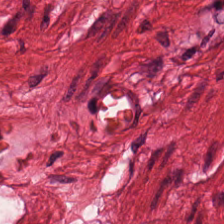Tissue = smooth-muscle tissue.
